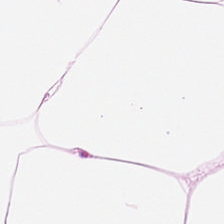Predominant tissue — adipose.
